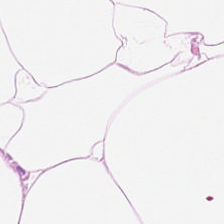H&E stain.
Fat tissue.
